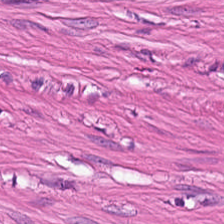Stain: hematoxylin and eosin.
Tissue: smooth-muscle tissue.
